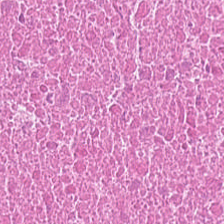Formalin-fixed paraffin-embedded section · hematoxylin-and-eosin stained section · brightfield.
Classification: necrotic debris.
